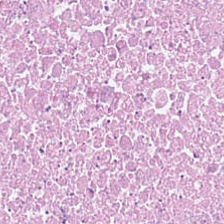H&E-stained tissue section. 224×224 px tile.
Q: Identify the tissue.
A: It is debris.
